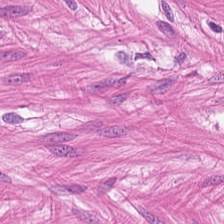H&E.
Q: What type of tissue is this?
A: The field shows muscularis.
